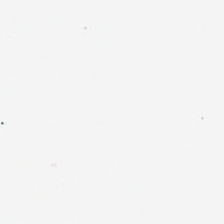H&E stain — This patch shows background (no tissue).
